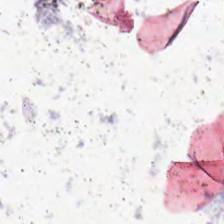Formalin-fixed paraffin-embedded section · H&E — Field content: empty background.
